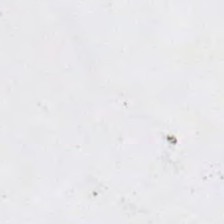Stain: H&E.
Resolution: 0.5 microns per pixel.
Field content: background.
